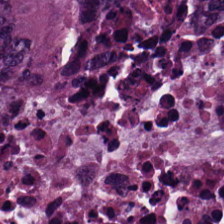Predominantly colorectal adenocarcinoma epithelium.
